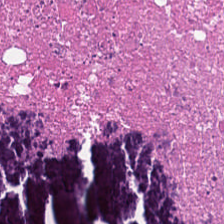Hematoxylin-and-eosin stained section — This patch shows necrotic debris.
